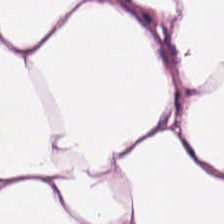Hematoxylin-and-eosin stained section.
Q: What type of tissue is this?
A: Adipocytes.
